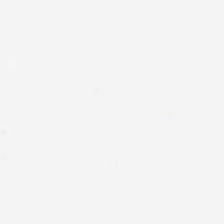Hematoxylin and eosin.
This field is background (no tissue).
